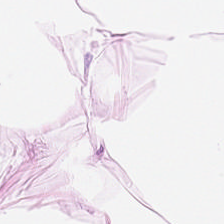Stain: H&E-stained tissue section.
Classification: adipocytes.
